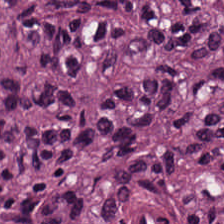224×224 px patch. H&E-stained tissue section.
The predominant tissue is colorectal adenocarcinoma.
